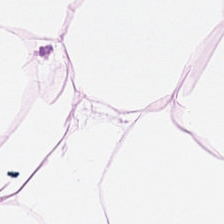224×224 px tile; H&E — Predominantly fat tissue.
